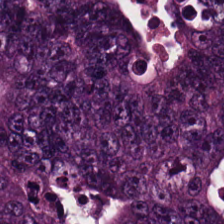Hematoxylin-and-eosin stained section — Tissue class: colorectal adenocarcinoma epithelium.
